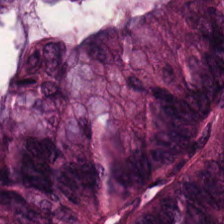Brightfield. Hematoxylin and eosin.
Impression → tumor epithelium.
